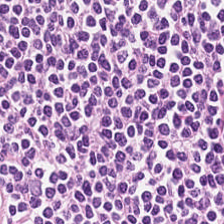Hematoxylin-and-eosin stained section. {"tissue_type": "lymphoid infiltrate"}
